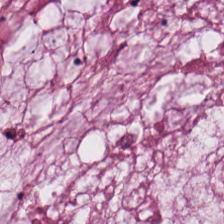H&E-stained tissue section — Showing mucin.
